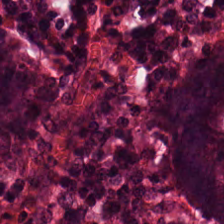Histology — non-neoplastic colon mucosa.
